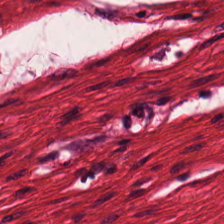Hematoxylin and eosin; brightfield microscopy — Tissue class = muscularis.
